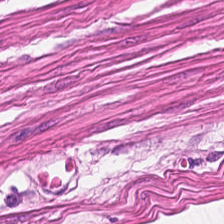Stain: hematoxylin and eosin.
Tissue type: smooth-muscle tissue.
